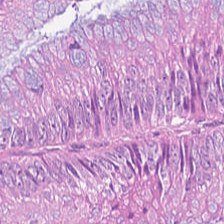The predominant tissue is adenocarcinoma.
